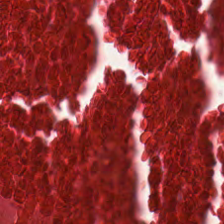H&E. Q: Identify the tissue.
A: It is debris.
